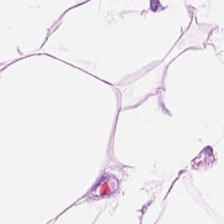Brightfield microscopy · H&E stain. Predominantly fat tissue.
